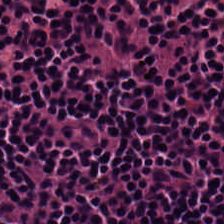0.5 µm per pixel. H&E-stained tissue section.
This patch shows lymphocytic infiltrate.
